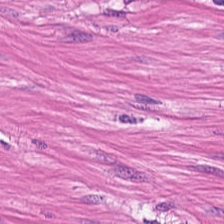The tissue class is muscularis.
